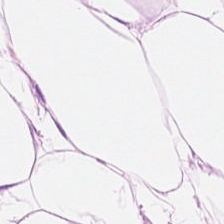H&E-stained tissue section — Tissue class = adipose.
